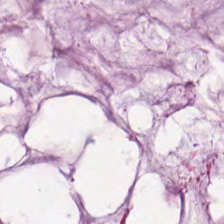H&E; 0.5 µm/px — The predominant tissue is mucus.
